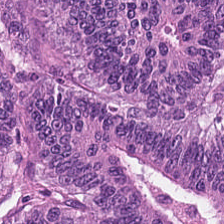Predominant tissue — tumor epithelium.
